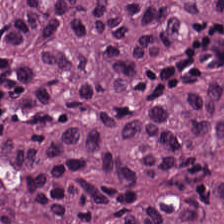Stain: H&E stain.
Tile size: 224×224 px tile.
Tissue type: colorectal adenocarcinoma epithelium.
